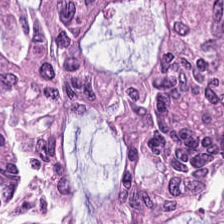H&E-stained tissue section; formalin-fixed paraffin-embedded section; 224×224 px patch. Impression — adenocarcinoma.
